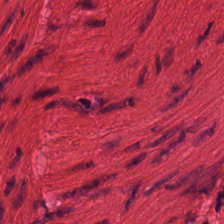0.5 microns per pixel; hematoxylin and eosin; formalin-fixed paraffin-embedded section. This patch shows smooth muscle.
